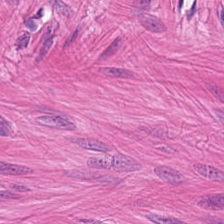H&E — Classification: smooth-muscle tissue.
